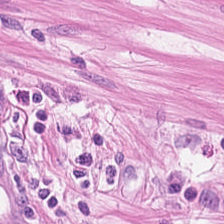H&E stain. 224×224 px tile. Showing smooth-muscle tissue.
